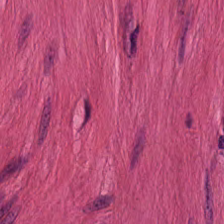Classification: muscularis.
